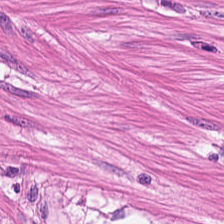H&E — Predominantly muscularis.
